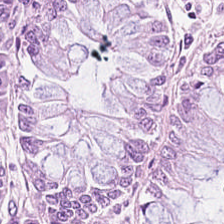This field is benign colonic mucosa.
